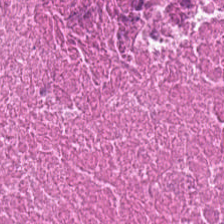Hematoxylin-and-eosin stained section · 0.5 µm/px · FFPE tissue section. Q: What is shown in this field?
A: The field shows debris.
